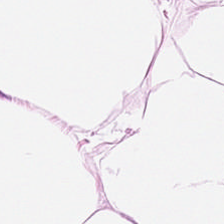Hematoxylin-and-eosin stained section.
The tissue is adipocytes.
